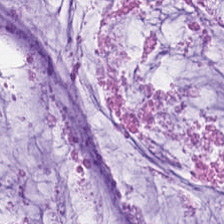Stain: hematoxylin-and-eosin stained section.
Tissue class: mucus.
